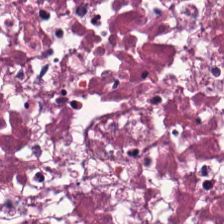Stain: H&E-stained tissue section.
Preparation: FFPE.
Tile size: 224×224 px patch.
Predominant tissue: debris.
